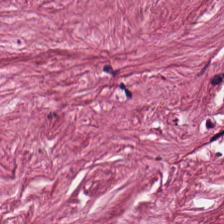H&E stain. WSI patch.
{"tissue_type": "desmoplastic stroma"}
